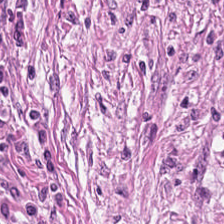H&E; 20× equivalent magnification — Q: What does this patch show?
A: Tumor stroma.
